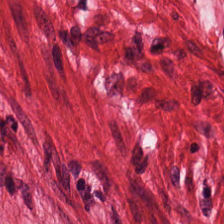{"tissue_type": "smooth-muscle tissue"}
